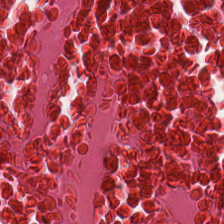H&E stain.
Q: Identify the tissue.
A: Necrotic debris.
